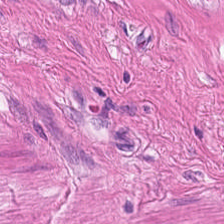Stain: H&E.
Resolution: 0.5 µm per pixel.
Predominant tissue: smooth-muscle tissue.
